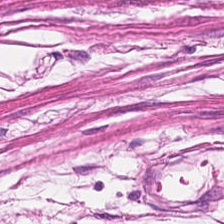H&E.
Finding — smooth-muscle tissue.
